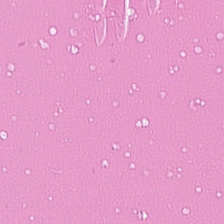20× equivalent magnification; hematoxylin-and-eosin stained section; 224×224 px patch.
The classification is debris.
